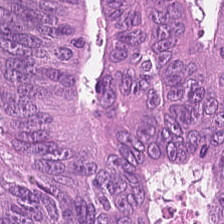Classification — malignant epithelium.
